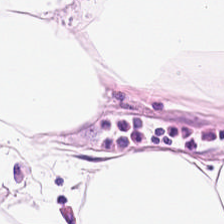H&E stain; FFPE tissue section; brightfield. Adipose.
